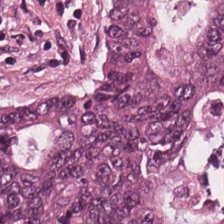H&E-stained tissue section. 20× equivalent magnification.
Predominantly tumor epithelium.
